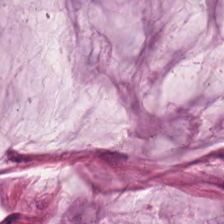WSI patch; H&E stain.
{"tissue_type": "extracellular mucin"}
